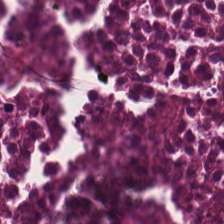Hematoxylin and eosin. Predominantly debris.
